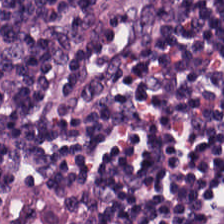Hematoxylin-and-eosin section: lymphocytic infiltrate.
